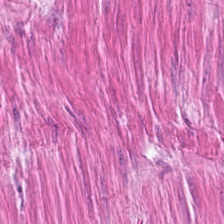Tissue type — muscularis.
